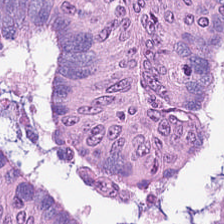H&E-stained tissue section — The tissue class is adenocarcinoma.
